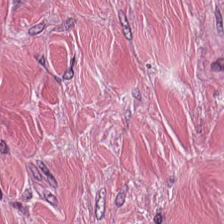Stain: hematoxylin and eosin.
Classification: cancer-associated stroma.
